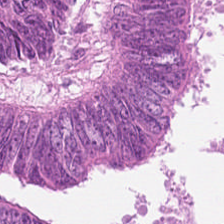Hematoxylin and eosin.
Histology → malignant epithelium.
